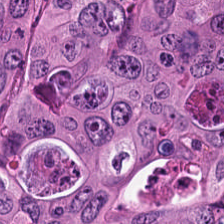Brightfield microscopy · 0.5 µm/px · H&E-stained tissue section.
Q: What is shown in this field?
A: It is adenocarcinoma.
